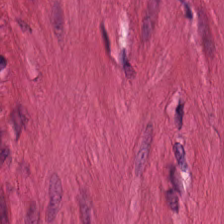H&E.
{"tissue_type": "smooth-muscle tissue"}
